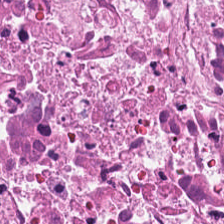H&E-stained tissue section. The tissue is cellular debris.
